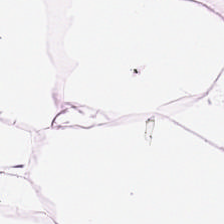Q: What type of tissue is this?
A: The field shows adipocytes.
